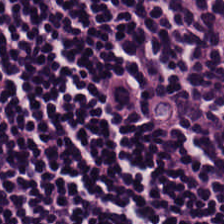Whole-slide-image patch; hematoxylin and eosin.
Finding → lymphoid infiltrate.
